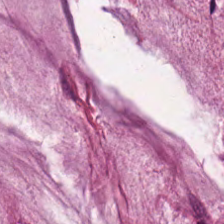Impression → mucin.
